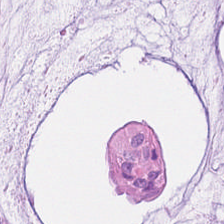H&E-stained tissue section — {"tissue_type": "mucus"}
